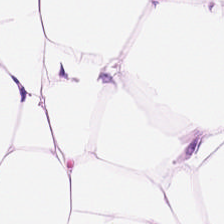The tissue is fat tissue.
